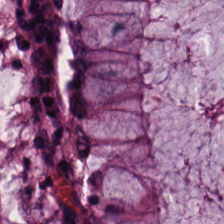The tissue here is normal colon mucosa.
